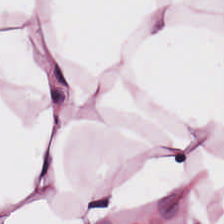H&E. Q: What does this patch show?
A: The field shows adipose tissue.
